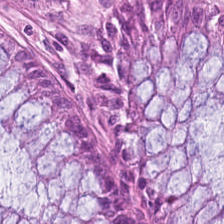20× equivalent magnification; H&E-stained tissue section; FFPE. Impression — normal colonic mucosa.
